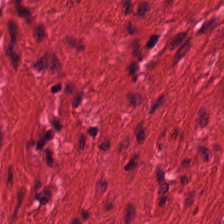H&E — Smooth-muscle tissue.
